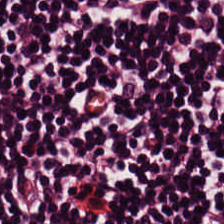Hematoxylin-and-eosin stained section · brightfield microscopy · FFPE.
Predominant tissue — lymphocytic infiltrate.
